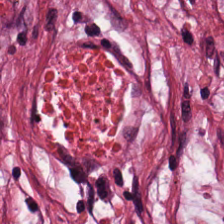FFPE · WSI patch · hematoxylin-and-eosin stained section — Q: What is shown in this field?
A: Desmoplastic stroma.
